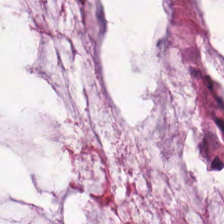H&E.
Q: Identify the tissue.
A: The field shows mucin.
